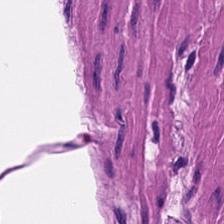Tissue class — smooth-muscle tissue.
